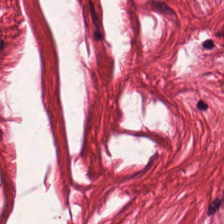Stain: H&E-stained tissue section.
Tissue: muscularis.
